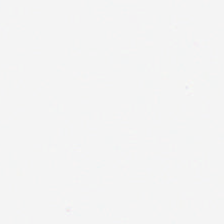H&E-stained tissue section.
{"content": "empty background"}
